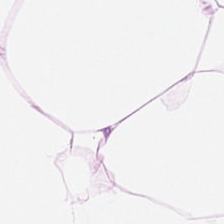Whole-slide-image patch · FFPE · hematoxylin-and-eosin stained section.
The predominant tissue is adipocytes.
